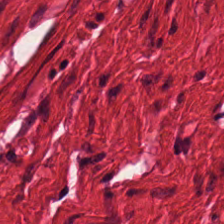Hematoxylin and eosin. Tissue class — muscularis.
